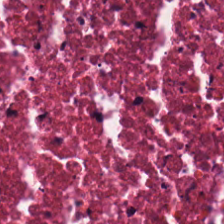H&E-stained tissue section showing necrotic debris.
